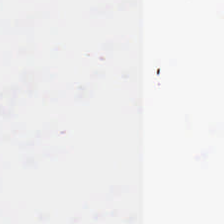H&E — Q: What does this patch show?
A: This is no tissue.
